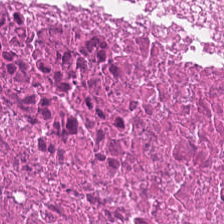Hematoxylin and eosin.
Q: Classify this patch.
A: The field shows necrotic debris.
